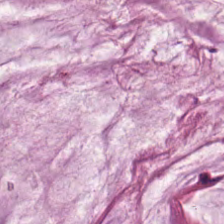Stain: H&E-stained tissue section.
Resolution: 0.5 µm per pixel.
Tissue class: extracellular mucin.
